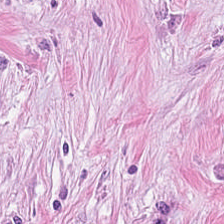H&E.
Q: Identify the tissue.
A: Tumor stroma.
